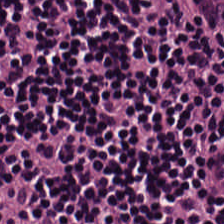H&E-stained tissue section. Impression — lymphoid infiltrate.
